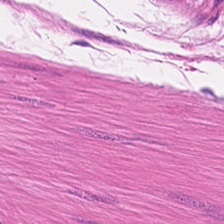Hematoxylin and eosin. Whole-slide-image patch — Muscularis.
